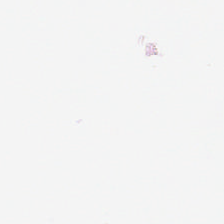H&E. Q: What is shown in this field?
A: The field shows background.
